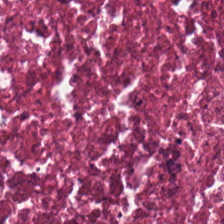Hematoxylin-and-eosin stained section.
This patch shows necrotic debris.
